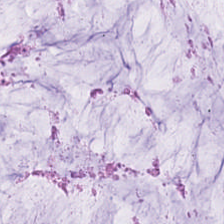Hematoxylin-and-eosin stained section. Formalin-fixed paraffin-embedded section. Tissue class = mucus.
